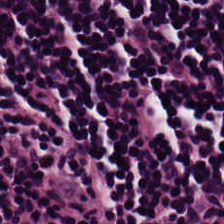H&E; WSI patch.
Showing lymphocytes.
